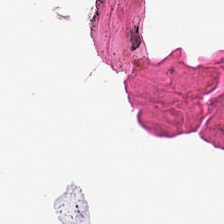{"content": "background"}
